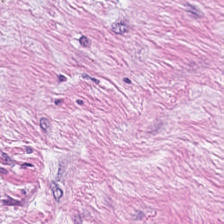H&E-stained tissue section — Predominantly tumor stroma.
